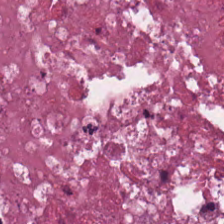H&E — cellular debris.
